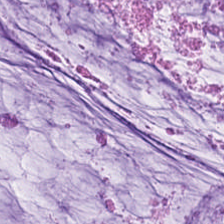Hematoxylin and eosin. FFPE. Whole-slide-image patch.
Histology — mucus.
